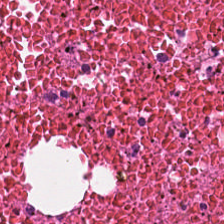Stain: H&E-stained tissue section.
Predominant tissue: debris.
